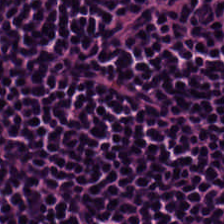H&E — This patch shows lymphocytes.
